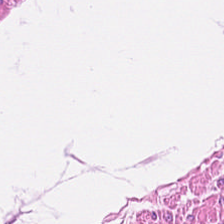H&E-stained tissue section.
Smooth muscle.
